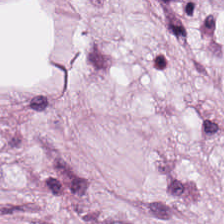Stain: hematoxylin-and-eosin stained section.
Tile size: 224×224 pixel tile.
Predominant tissue: fat tissue.
